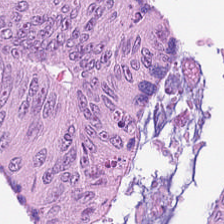Formalin-fixed paraffin-embedded section; H&E-stained tissue section.
Showing malignant epithelium.
